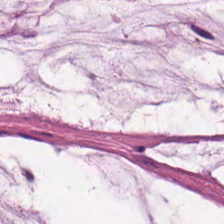Stain: H&E stain.
Tissue class: mucin.
